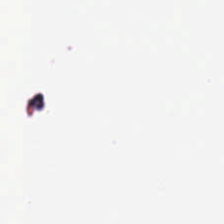H&E.
Field content — empty background.
